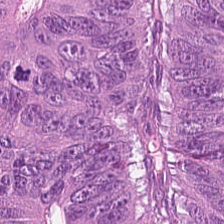H&E stain — Tissue class — tumor epithelium.
